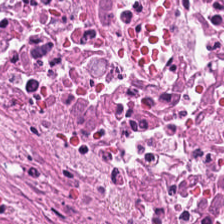Hematoxylin-and-eosin stained section — Histology — necrotic debris.
